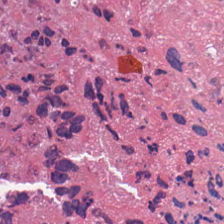H&E.
Showing debris.
